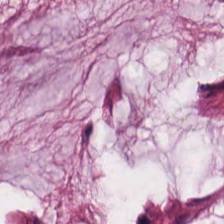H&E · brightfield microscopy · formalin-fixed paraffin-embedded section. Predominantly mucin.
